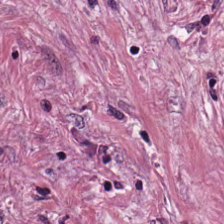Hematoxylin and eosin. The tissue class is tumor stroma.
